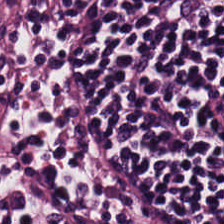Hematoxylin and eosin — Tissue type: lymphocytic infiltrate.
